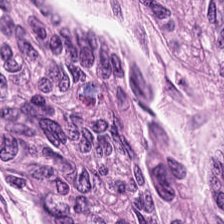Hematoxylin-and-eosin stained section; FFPE tissue section.
{"tissue_type": "colorectal adenocarcinoma"}
